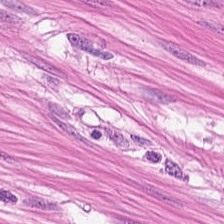Stain: hematoxylin-and-eosin stained section.
Predominant tissue: smooth-muscle tissue.
